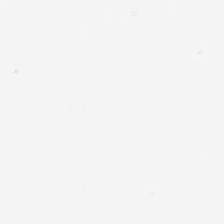Brightfield; H&E. {"content": "no tissue"}
